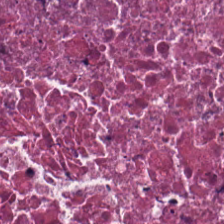H&E.
Tissue type — necrotic debris.
